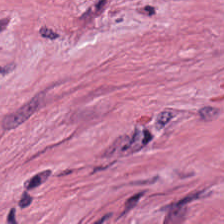0.5 µm per pixel · hematoxylin and eosin · 224×224 pixel tile — This field is desmoplastic stroma.
